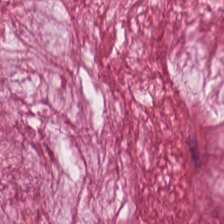FFPE · hematoxylin-and-eosin stained section — Showing extracellular mucin.
